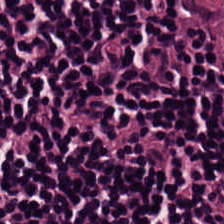H&E.
Histology → lymphocyte aggregate.
